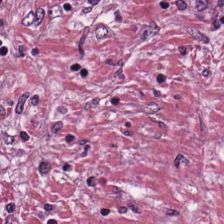Impression → cancer-associated stroma.
